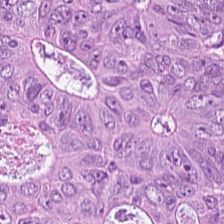H&E-stained tissue section. Tissue = malignant epithelium.
